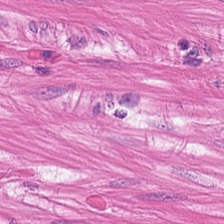The tissue class is muscularis.
